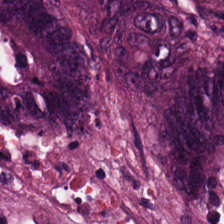H&E.
Q: Identify the tissue.
A: It is malignant epithelium.
